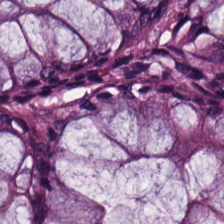Hematoxylin and eosin. The predominant tissue is benign colonic mucosa.
